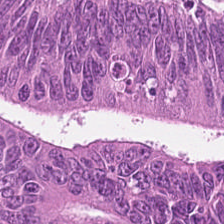Stain: hematoxylin and eosin.
Preparation: FFPE.
Tissue: tumor epithelium.
